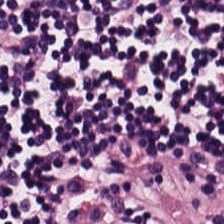H&E. Q: Classify this patch.
A: The field shows lymphocytes.
